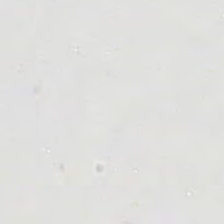0.5 µm/px. Hematoxylin and eosin.
Classification = no tissue.
